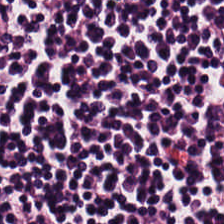Predominantly lymphocytes.
